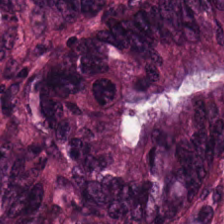Q: What does this patch show?
A: This is colorectal adenocarcinoma.
